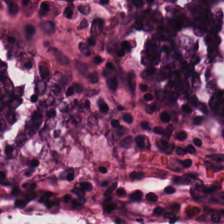Hematoxylin-and-eosin stained section. Whole-slide-image patch.
Tissue — benign colonic mucosa.
